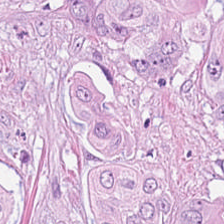224×224 px patch · hematoxylin-and-eosin stained section.
{"tissue_type": "adenocarcinoma"}
